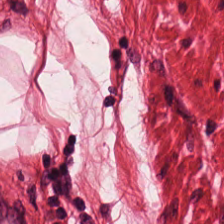H&E stain. WSI patch. Classification — muscularis.
